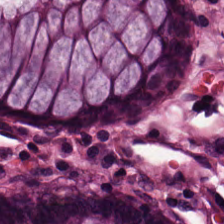The tissue here is normal colonic mucosa.
